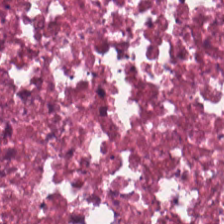Hematoxylin and eosin. FFPE tissue section.
Necrotic debris.
